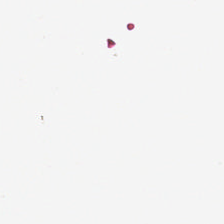224×224 px tile · H&E · FFPE. {"content": "no tissue"}
